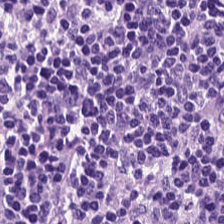Hematoxylin-and-eosin stained section. Showing lymphocyte aggregate.
